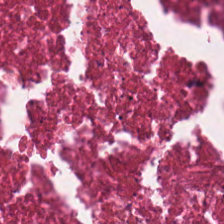H&E-stained tissue section.
The tissue here is cellular debris.
